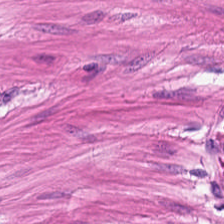Hematoxylin and eosin · 224×224 px tile.
Muscularis.
